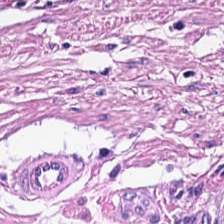Brightfield; hematoxylin and eosin. Predominant tissue: smooth muscle.
